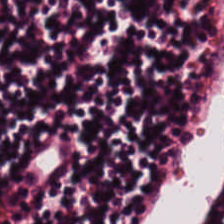Hematoxylin and eosin; brightfield microscopy.
The predominant tissue is lymphocytes.
